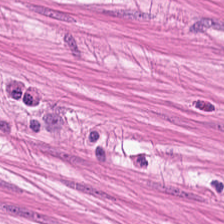H&E-stained tissue section. {"tissue_type": "muscularis"}
